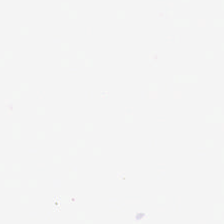Stain: H&E-stained tissue section.
Field content: empty background.
